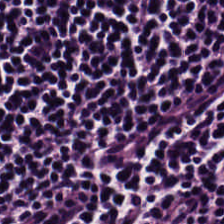Predominantly lymphocytic infiltrate.
